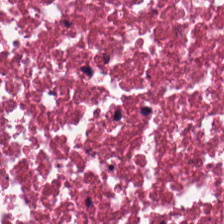H&E. Q: What tissue type is shown here?
A: This is cellular debris.
